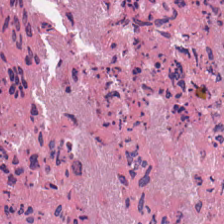Impression — debris.
